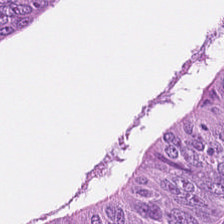Hematoxylin-and-eosin stained section. Tissue class: adenocarcinoma.
